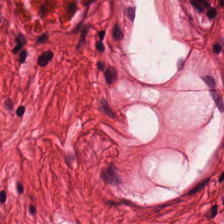224×224 px tile · hematoxylin and eosin. {"tissue_type": "smooth muscle"}
